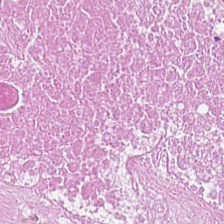H&E.
Tissue class = debris.
